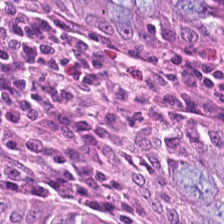H&E — Classification: normal colonic mucosa.
